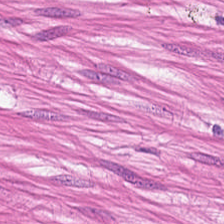Hematoxylin-and-eosin stained section. The predominant tissue is muscularis.
